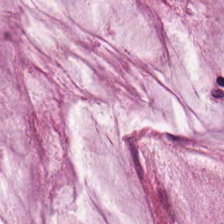H&E-stained tissue section showing mucus.
